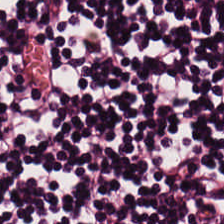224×224 pixel tile; H&E. Q: What does this patch show?
A: It is lymphoid infiltrate.
